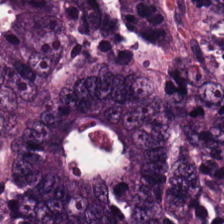H&E · 224×224 px patch · formalin-fixed paraffin-embedded section.
Q: What type of tissue is this?
A: It is malignant epithelium.
